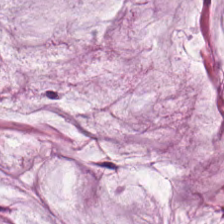Stain: hematoxylin and eosin.
Acquisition: WSI patch.
Predominant tissue: mucin.
